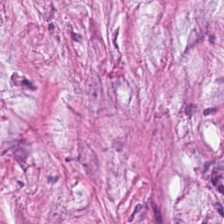Brightfield · 224×224 px patch · H&E — The predominant tissue is tumor stroma.
